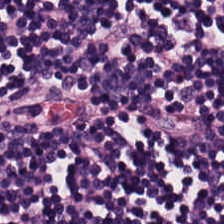Brightfield microscopy; FFPE; hematoxylin and eosin.
Predominantly lymphocytic infiltrate.
